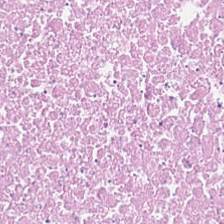Hematoxylin-and-eosin stained section. Showing cellular debris.
